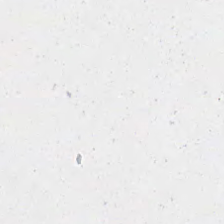Hematoxylin and eosin.
No tissue.
